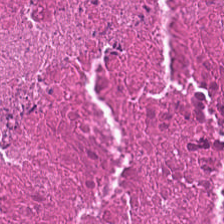Stain: H&E stain.
Tissue: debris.
